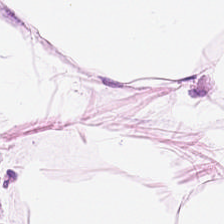FFPE; H&E stain; brightfield microscopy. Q: What tissue type is shown here?
A: The field shows adipose.
